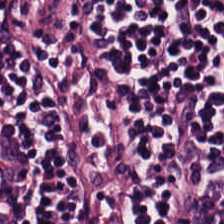Hematoxylin-and-eosin stained section · 0.5 µm/px — Classification — lymphocytes.
